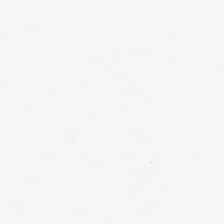Hematoxylin-and-eosin stained section. FFPE. 0.5 microns per pixel.
{"content": "background"}
